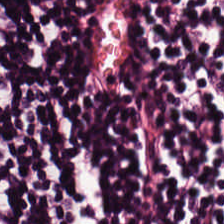Tissue type = lymphocyte aggregate.
